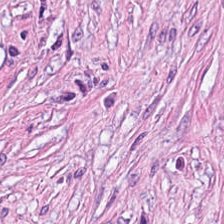Hematoxylin-and-eosin section: cancer-associated stroma.
